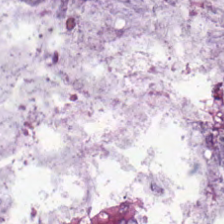WSI patch; formalin-fixed paraffin-embedded section; H&E stain.
The tissue is mucus.
